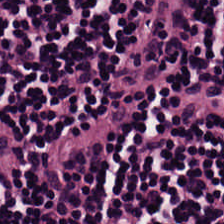Finding → lymphocytic infiltrate.
